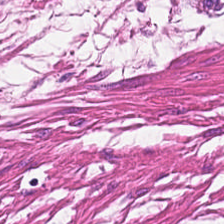Histology → muscularis.
